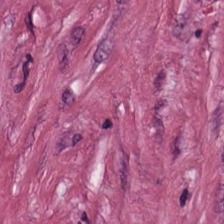Hematoxylin and eosin — The tissue type is cancer-associated stroma.
